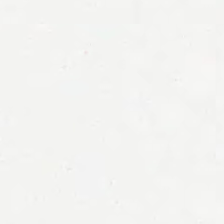Stain: H&E.
Classification: background.
